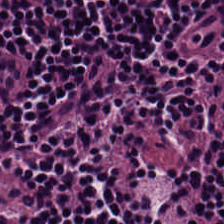H&E-stained tissue section — Tissue type: lymphocytic infiltrate.
